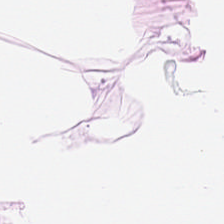The tissue class is fat tissue.
